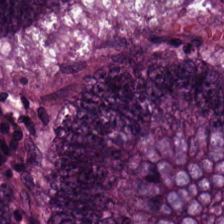0.5 µm per pixel. 224×224 pixel tile. H&E. This patch shows malignant epithelium.
